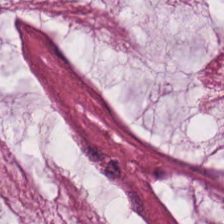{"tissue_type": "mucus"}
